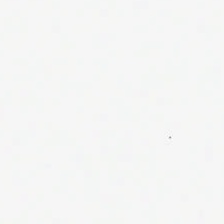H&E stain. {"content": "background"}
